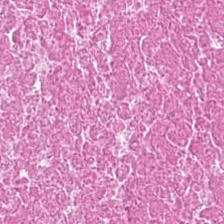Brightfield. H&E stain. FFPE tissue section. Impression — necrotic debris.
